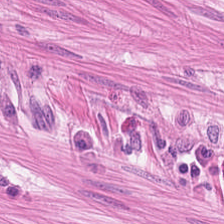Hematoxylin and eosin; 0.5 µm/px — Tissue type — smooth-muscle tissue.
